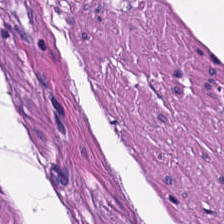Stain: hematoxylin and eosin.
Tile size: 224×224 pixel tile.
Acquisition: brightfield microscopy.
Tissue class: muscularis.
